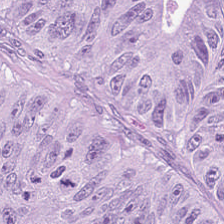H&E-stained tissue section · 224×224 px patch · whole-slide-image patch.
{"tissue_type": "tumor epithelium"}
